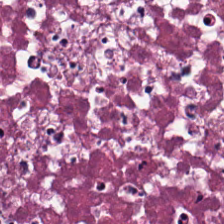Whole-slide-image patch · H&E. This field is cellular debris.
